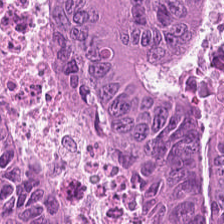H&E. Classification — adenocarcinoma.
